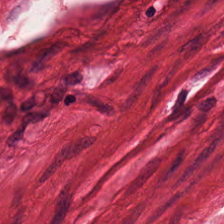0.5 µm/px; H&E stain. Q: Identify the tissue.
A: This is smooth-muscle tissue.
